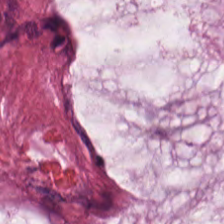H&E stain.
Showing extracellular mucin.
